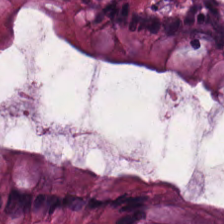Tissue type — normal colon mucosa.
